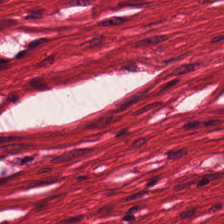20× equivalent magnification; H&E.
Impression — muscularis.
